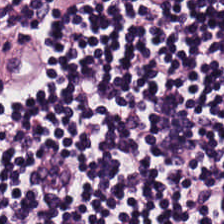Hematoxylin-and-eosin stained section.
Impression → lymphocytic infiltrate.
